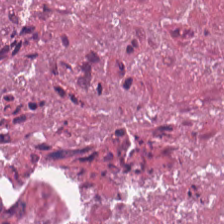Hematoxylin-and-eosin stained section · 0.5 microns per pixel — Tissue: cellular debris.
